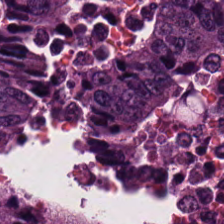Formalin-fixed paraffin-embedded section · H&E-stained tissue section — This field is adenocarcinoma.
